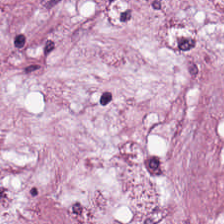Hematoxylin-and-eosin stained section. Tissue — tumor stroma.
